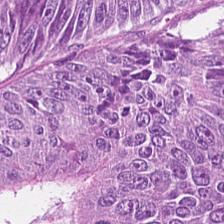H&E stain · FFPE tissue section.
Predominant tissue — tumor epithelium.
